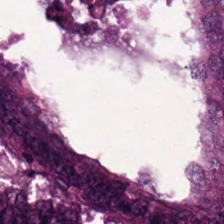Tissue type — colorectal adenocarcinoma.
